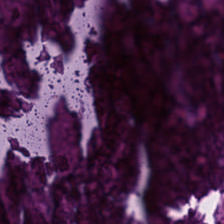H&E — This patch shows debris.
